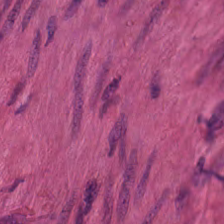H&E-stained tissue section showing muscularis.
